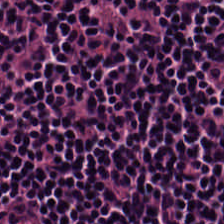Tissue class = lymphocytes.
